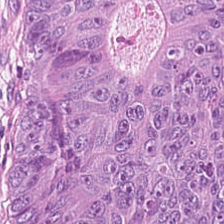H&E. This field is tumor epithelium.
